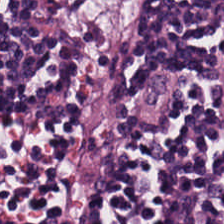Stain: hematoxylin-and-eosin stained section.
Acquisition: brightfield microscopy.
Tissue type: lymphoid infiltrate.
